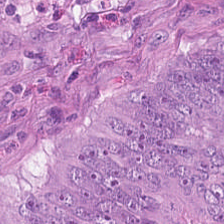H&E stain. Q: Classify this patch.
A: The field shows colorectal adenocarcinoma.
